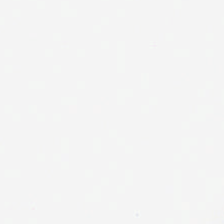Stain: H&E-stained tissue section.
Classification: background.
